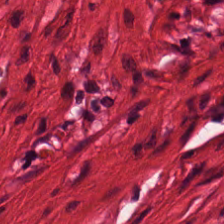FFPE tissue section · 224×224 px tile · H&E.
Classification = muscularis.
